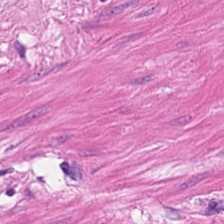Brightfield · hematoxylin-and-eosin stained section.
Smooth-muscle tissue.
